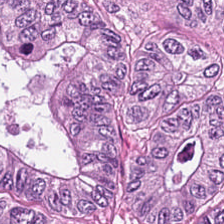0.5 µm per pixel. WSI patch. H&E stain. This patch shows tumor epithelium.
